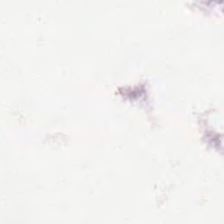0.5 µm/px; H&E stain; 224×224 px tile — Empty field — empty background.
